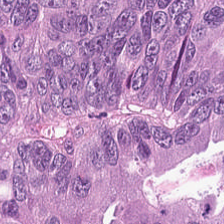Stain: hematoxylin and eosin.
Tissue: colorectal adenocarcinoma epithelium.
